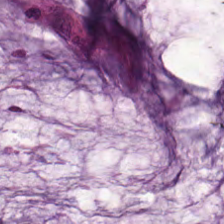Q: What is the predominant tissue type?
A: The field shows mucus.
